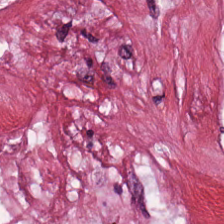Hematoxylin and eosin — The tissue is tumor stroma.
